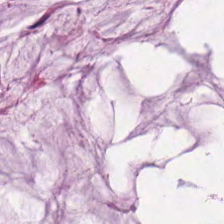Brightfield · H&E · FFPE tissue section.
Tissue type — extracellular mucin.
